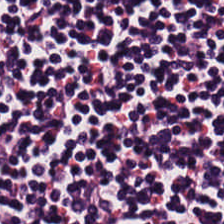Tissue type — lymphoid infiltrate.
